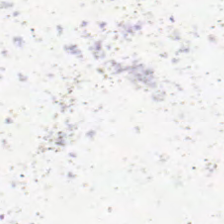Background — no tissue in this field.
